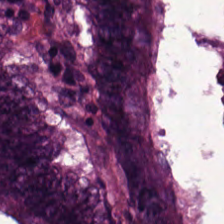{"tissue_type": "colorectal adenocarcinoma epithelium"}
